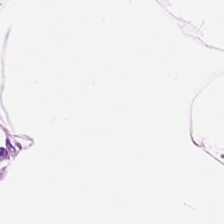Hematoxylin and eosin; FFPE.
Predominant tissue = adipose.
